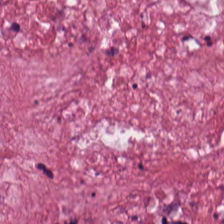Q: What type of tissue is this?
A: It is tumor-associated stroma.
